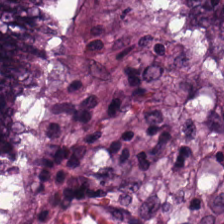H&E · whole-slide-image patch · 0.5 microns per pixel — {"tissue_type": "adenocarcinoma"}
